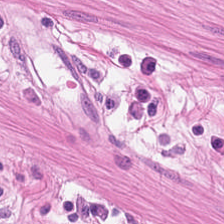Impression — muscularis.
